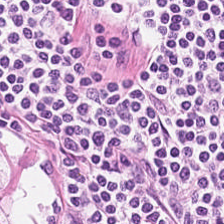H&E; 224×224 px patch. The tissue here is lymphocytes.
